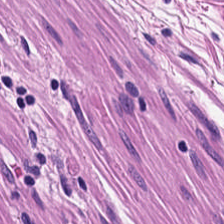0.5 microns per pixel; H&E; WSI patch. Smooth muscle.
